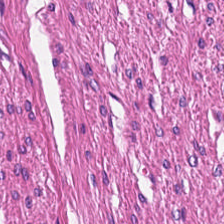H&E. 224×224 px tile. Histology — smooth muscle.
